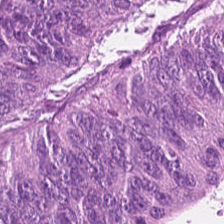0.5 µm/px · whole-slide-image patch · hematoxylin and eosin. The predominant tissue is malignant epithelium.
